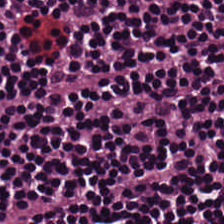H&E stain.
Showing lymphocytes.
